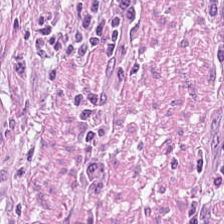Hematoxylin and eosin · 224×224 pixel tile · brightfield microscopy — Classification: tumor stroma.
